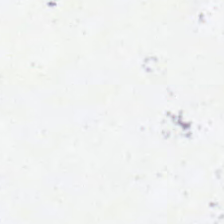H&E-stained tissue section · brightfield. {"content": "background (no tissue)"}
